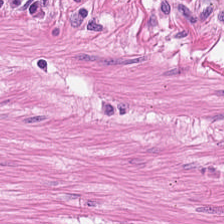Stain: H&E-stained tissue section.
Tissue type: smooth muscle.
